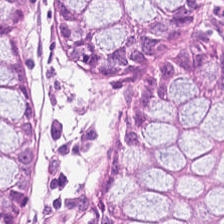Stain: H&E-stained tissue section.
Tissue: normal colon mucosa.
